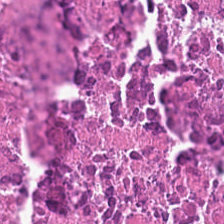Tissue: necrotic debris.
